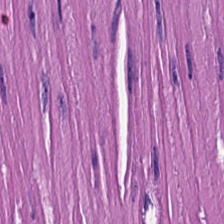H&E stain. Predominantly smooth-muscle tissue.
